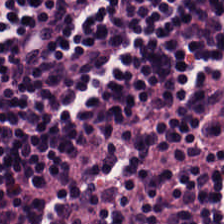Tissue class = lymphoid infiltrate.
